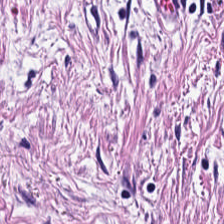Hematoxylin-and-eosin stained section — Tissue class — desmoplastic stroma.
